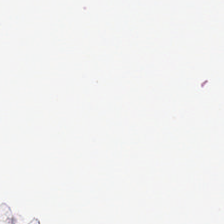Hematoxylin-and-eosin stained section · 20× equivalent magnification. Q: What is shown in this field?
A: The field shows background.
